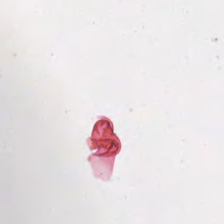Empty field — background (no tissue).
